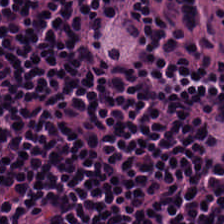The tissue here is lymphocyte aggregate.
